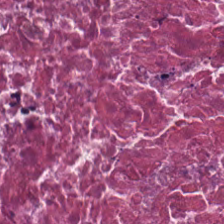Hematoxylin and eosin — Tissue type — necrotic debris.
